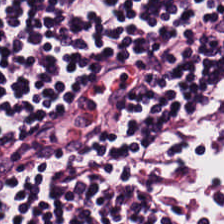Hematoxylin-and-eosin stained section.
{"tissue_type": "lymphoid infiltrate"}
